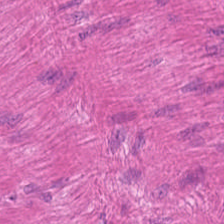20× equivalent magnification. H&E stain. Q: What is shown here?
A: The field shows smooth-muscle tissue.
